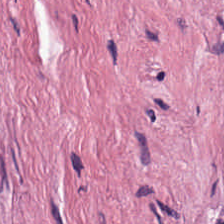Hematoxylin and eosin; 0.5 µm per pixel; FFPE. Showing desmoplastic stroma.
